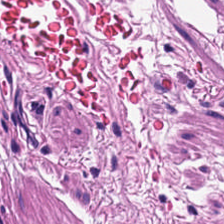H&E-stained tissue section. Formalin-fixed paraffin-embedded section — Finding → smooth muscle.
